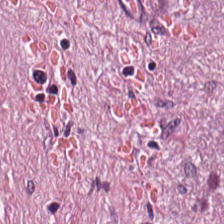Hematoxylin-and-eosin stained section — Q: What is shown here?
A: Tumor stroma.
